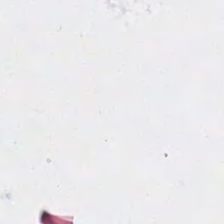224×224 px patch; H&E stain.
Finding — no tissue.
